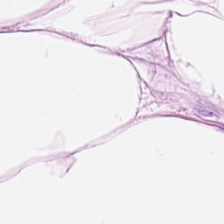Stain: hematoxylin-and-eosin stained section.
Tissue type: adipose tissue.
